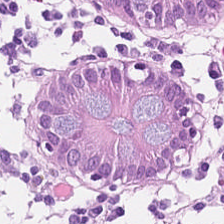Hematoxylin and eosin — {"tissue_type": "non-neoplastic colon mucosa"}
